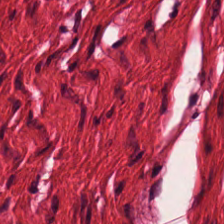The predominant tissue is muscularis.
